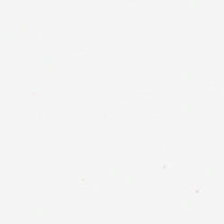H&E. {"content": "background"}
